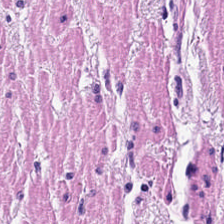0.5 µm per pixel. Hematoxylin-and-eosin stained section. Showing muscularis.
